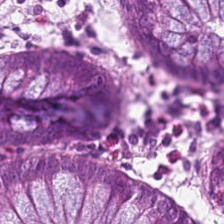Hematoxylin and eosin. FFPE. 224×224 px patch — Classification — normal colonic mucosa.
